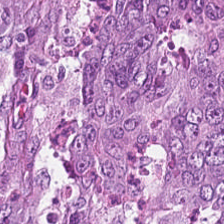Whole-slide-image patch · H&E. The tissue is colorectal adenocarcinoma epithelium.
